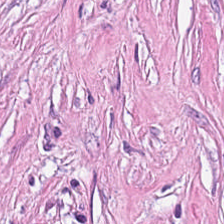H&E · formalin-fixed paraffin-embedded section.
Predominantly cancer-associated stroma.
